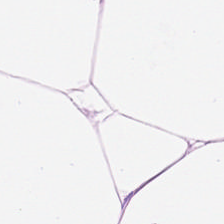H&E-stained tissue section. Showing adipose tissue.
